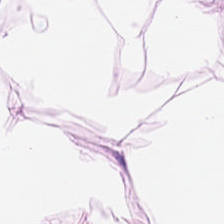H&E stain — Tissue class — fat tissue.
